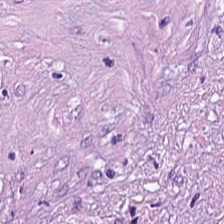H&E stain. FFPE tissue section — Tissue class = tumor stroma.
